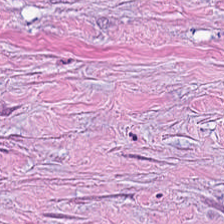Hematoxylin and eosin.
Tissue type: tumor stroma.
